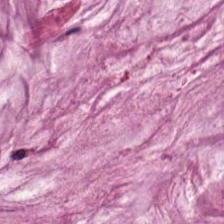Hematoxylin and eosin. The predominant tissue is mucus.
